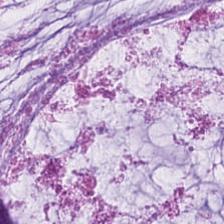H&E; FFPE tissue section. Q: Identify the tissue.
A: This is mucus.
